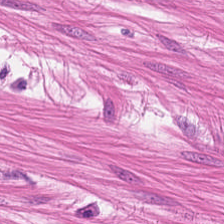Hematoxylin and eosin — Showing muscularis.
